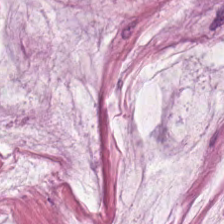Hematoxylin-and-eosin section: extracellular mucin.
